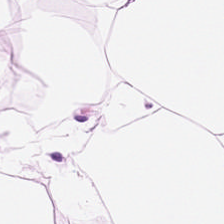Predominantly adipose.
